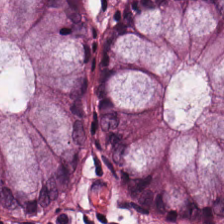WSI patch; 224×224 px tile; hematoxylin-and-eosin stained section — This patch shows normal colonic mucosa.
